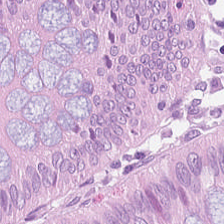Hematoxylin and eosin; 224×224 px patch.
The predominant tissue is normal colonic mucosa.
